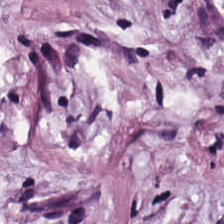H&E-stained section; the field shows tumor stroma.
